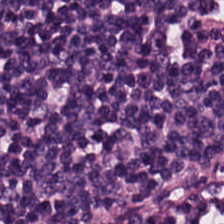Impression → lymphocyte aggregate.
